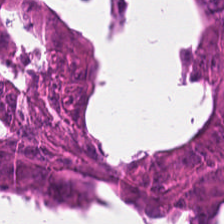H&E-stained tissue section.
Q: What tissue type is shown here?
A: Adenocarcinoma.
